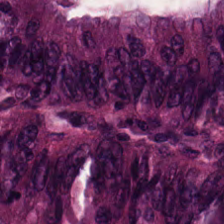Finding → malignant epithelium.
